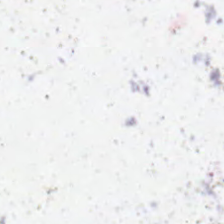H&E-stained tissue section.
No tissue present; background only.
